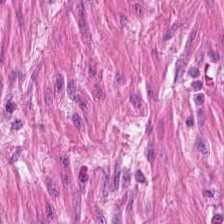Hematoxylin and eosin. Finding — muscularis.
